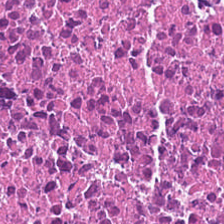Tissue type: debris.
